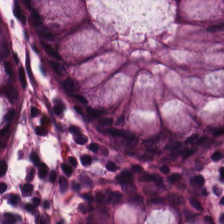Stain: H&E.
Classification: non-neoplastic colon mucosa.
